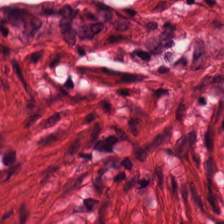H&E.
Impression → smooth muscle.
